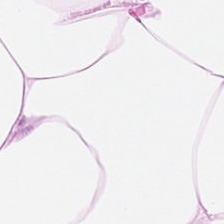H&E-stained tissue section; whole-slide-image patch. Q: What is shown here?
A: It is adipocytes.
